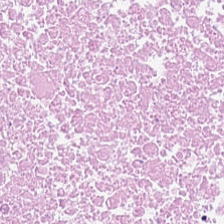H&E stain; brightfield; 224×224 px patch — Tissue type = necrotic debris.
